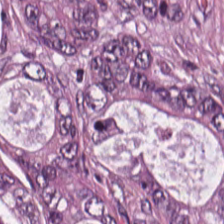H&E; brightfield microscopy.
Classification — malignant epithelium.
